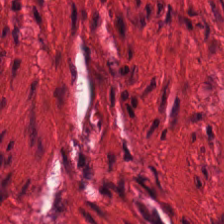Hematoxylin-and-eosin stained section. WSI patch — {"tissue_type": "muscularis"}
